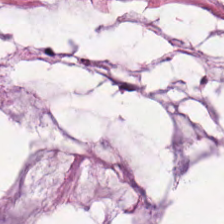Hematoxylin-and-eosin stained section — Tissue — mucus.
